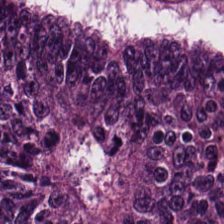Hematoxylin and eosin. 224×224 px patch. Q: What is shown here?
A: The field shows tumor epithelium.
